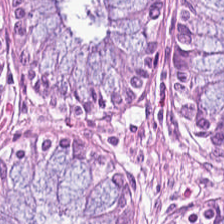20× equivalent magnification. 224×224 px patch. H&E — Benign colonic mucosa.
